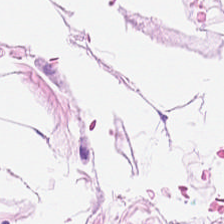Hematoxylin-and-eosin stained section — Tissue class — fat tissue.
